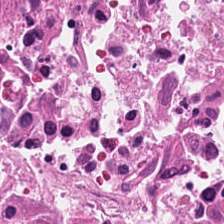Hematoxylin-and-eosin stained section.
Tissue type — debris.
